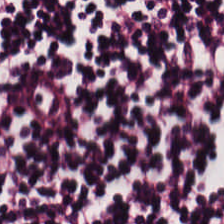{"tissue_type": "lymphoid infiltrate"}
